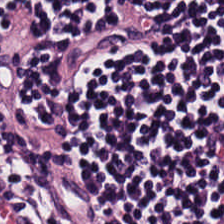H&E stain.
The predominant tissue is lymphoid infiltrate.
